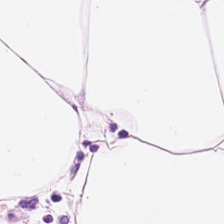224×224 pixel tile · H&E-stained tissue section · brightfield microscopy. Q: What tissue type is shown here?
A: The field shows adipocytes.
